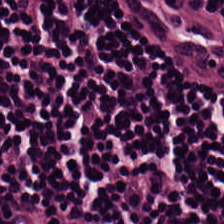H&E stain · 224×224 pixel tile · WSI patch.
The tissue here is lymphoid infiltrate.
